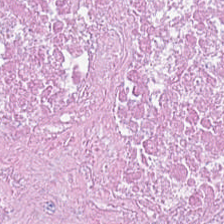Hematoxylin and eosin — Classification — necrotic debris.
